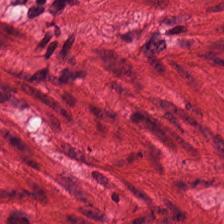The tissue is muscularis.
